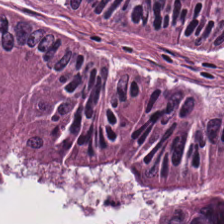Stain: H&E-stained tissue section.
Classification: colorectal adenocarcinoma.
